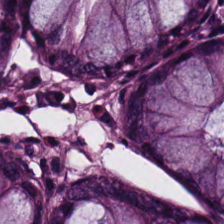Hematoxylin and eosin — The tissue class is benign colonic mucosa.
